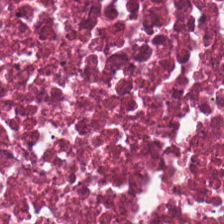Hematoxylin and eosin. Showing cellular debris.
